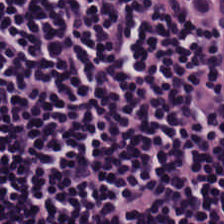H&E-stained tissue section — Predominant tissue: lymphoid infiltrate.
